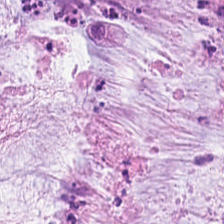Brightfield · H&E stain. Predominantly extracellular mucin.
